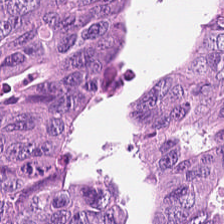Stain: hematoxylin-and-eosin stained section.
Tissue type: colorectal adenocarcinoma epithelium.
